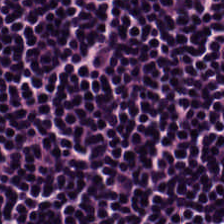H&E — lymphocyte aggregate.
